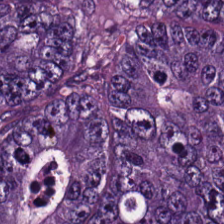Hematoxylin-and-eosin stained section. Tissue class = tumor epithelium.
